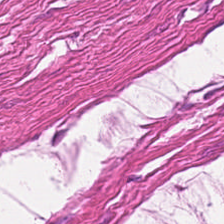Whole-slide-image patch. 224×224 px patch. H&E stain. Predominant tissue: smooth-muscle tissue.
